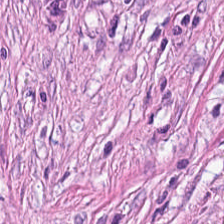FFPE; 0.5 microns per pixel; hematoxylin-and-eosin stained section.
Histology — tumor-associated stroma.
